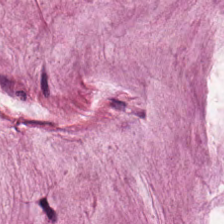Brightfield microscopy; H&E-stained tissue section — The predominant tissue is mucus.
